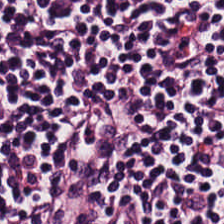H&E-stained section; the field shows lymphocyte aggregate.
